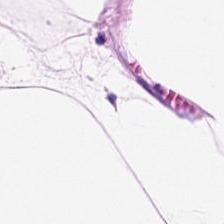H&E patch showing fat tissue.
